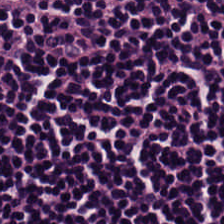Hematoxylin and eosin. FFPE tissue section — Predominantly lymphoid infiltrate.
